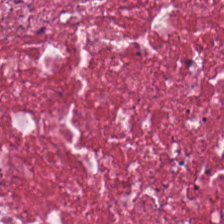224×224 pixel tile. H&E. Q: What is the predominant tissue type?
A: The field shows tumor-associated stroma.
